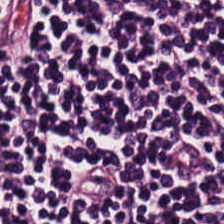WSI patch · H&E-stained tissue section.
Q: What tissue is shown?
A: It is lymphocytic infiltrate.
